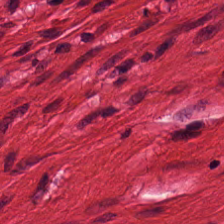H&E. This patch shows smooth muscle.
